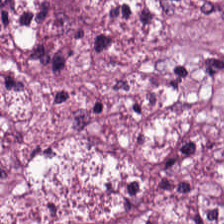Hematoxylin and eosin · brightfield microscopy · 0.5 microns per pixel.
The tissue here is desmoplastic stroma.
